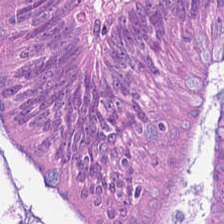H&E; brightfield microscopy; 224×224 px tile — The predominant tissue is colorectal adenocarcinoma epithelium.
